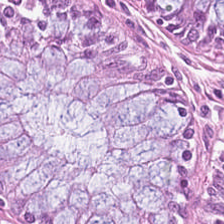H&E-stained tissue section.
Predominantly non-neoplastic colon mucosa.
